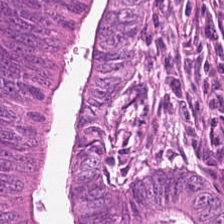Stain: hematoxylin-and-eosin stained section.
Acquisition: brightfield microscopy.
Tissue: tumor epithelium.
